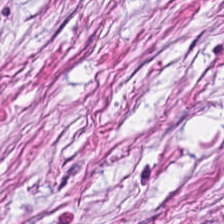WSI patch; H&E-stained tissue section; 20× equivalent magnification.
Predominantly desmoplastic stroma.
